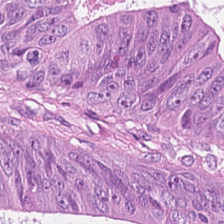Stain: hematoxylin-and-eosin stained section.
Tissue: colorectal adenocarcinoma.
